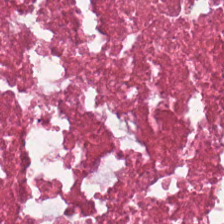Finding — debris.
